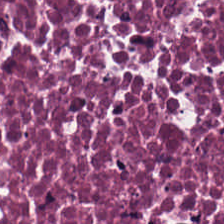Hematoxylin-and-eosin stained section — Predominant tissue: debris.
